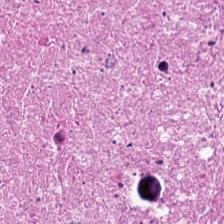224×224 px tile · hematoxylin-and-eosin stained section. Q: What does this patch show?
A: This is necrotic debris.
